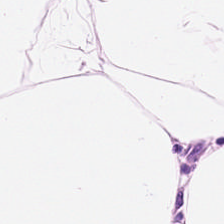20× equivalent magnification; 224×224 pixel tile; hematoxylin-and-eosin stained section. {"tissue_type": "adipocytes"}
